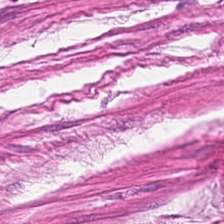Formalin-fixed paraffin-embedded section. Hematoxylin-and-eosin stained section. Smooth-muscle tissue.
